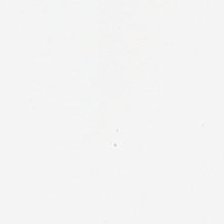H&E · 224×224 pixel tile · FFPE tissue section. This patch shows background (no tissue).
